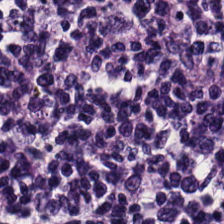224×224 px patch; hematoxylin and eosin — Predominant tissue — lymphocytic infiltrate.
